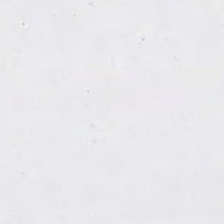H&E stain.
{"content": "empty background"}
